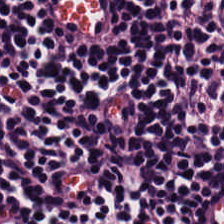Stain: hematoxylin and eosin.
Preparation: formalin-fixed paraffin-embedded section.
Tissue class: lymphocytes.
